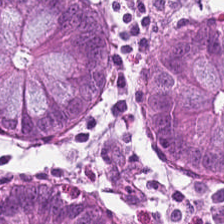Stain: H&E stain.
Predominant tissue: non-neoplastic colon mucosa.
